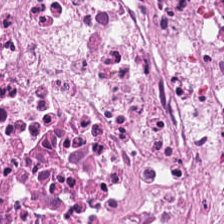H&E-stained tissue section. The predominant tissue is debris.
